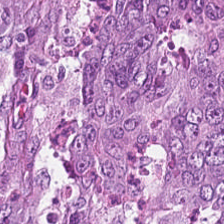H&E-stained tissue section. 0.5 µm/px.
Predominant tissue = colorectal adenocarcinoma epithelium.
